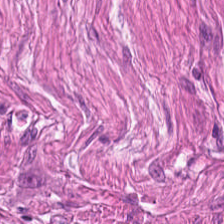H&E; FFPE. This patch shows smooth muscle.
